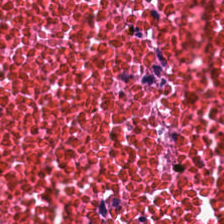Hematoxylin and eosin. Tissue class: necrotic debris.
